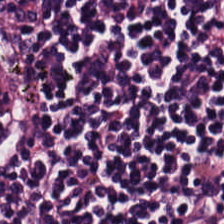Hematoxylin and eosin; 0.5 microns per pixel. The tissue here is lymphoid infiltrate.
